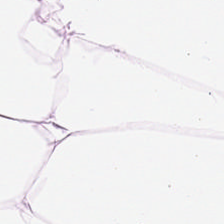Stain: hematoxylin-and-eosin stained section.
Classification: adipose tissue.
